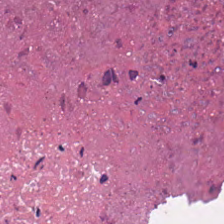H&E-stained tissue section.
Q: What is shown here?
A: It is cellular debris.
